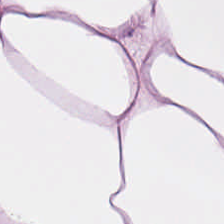Hematoxylin and eosin; 224×224 px patch — Tissue class — fat tissue.
